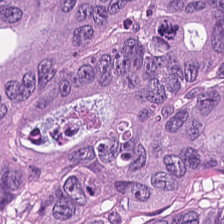Predominantly malignant epithelium.
